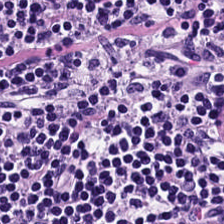{"tissue_type": "lymphocyte aggregate"}
